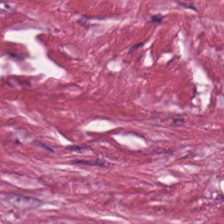20× equivalent magnification. Hematoxylin and eosin — Predominantly tumor stroma.
